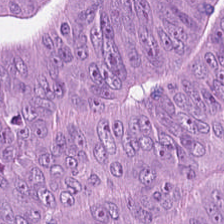224×224 pixel tile · hematoxylin-and-eosin stained section.
The predominant tissue is tumor epithelium.
